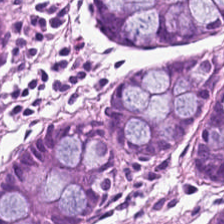H&E-stained tissue section — The tissue is benign colonic mucosa.
